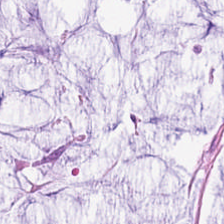H&E-stained tissue section. The predominant tissue is extracellular mucin.
